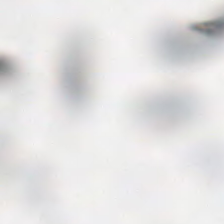FFPE tissue section. H&E stain. Whole-slide-image patch — This field is background (no tissue).
